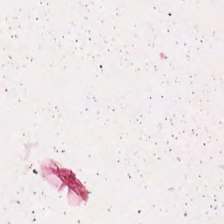Q: What is the predominant tissue type?
A: Debris.
